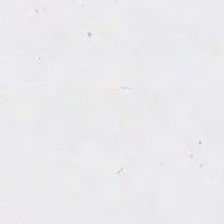No tissue present; background only.
